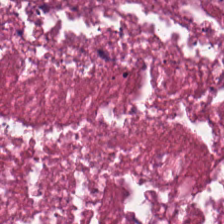The classification is necrotic debris.
